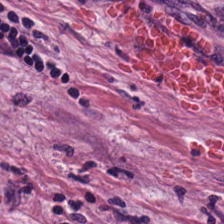Stain: H&E.
Predominant tissue: tumor stroma.
